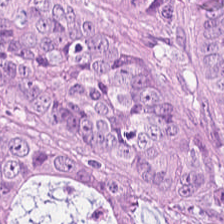Tissue type: colorectal adenocarcinoma epithelium.
